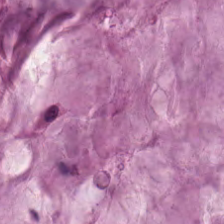Stain: hematoxylin-and-eosin stained section.
Tissue: mucin.
